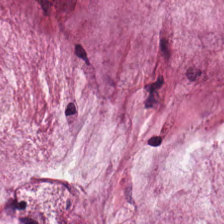H&E stain.
Extracellular mucin.
